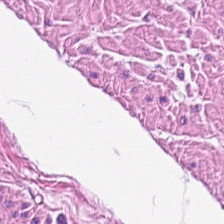Finding → smooth muscle.
